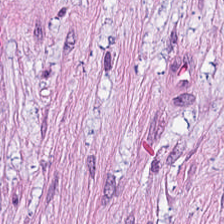The tissue class is desmoplastic stroma.
